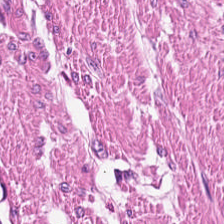H&E-stained tissue section showing muscularis.
